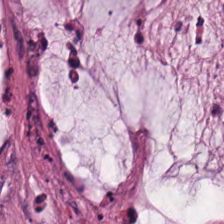Hematoxylin-and-eosin section: extracellular mucin.
